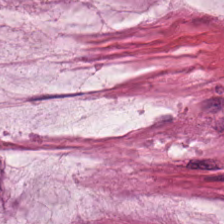H&E stain — Predominant tissue: mucus.
